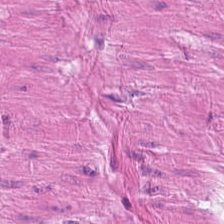Hematoxylin-and-eosin stained section. Q: What does this patch show?
A: Muscularis.
